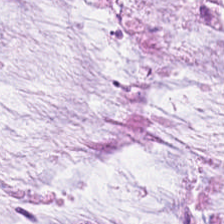Stain: hematoxylin and eosin.
Tissue class: extracellular mucin.
